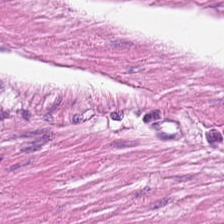H&E — muscularis.
